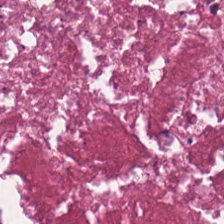Hematoxylin-and-eosin stained section.
This field is cellular debris.
